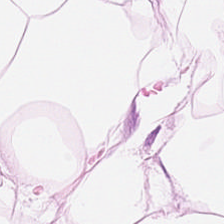H&E stain.
Predominantly fat tissue.
